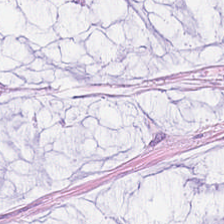0.5 µm per pixel · H&E — Classification = extracellular mucin.
